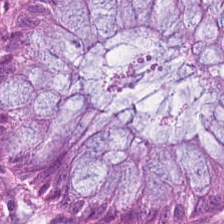H&E; 224×224 pixel tile; WSI patch.
Impression — non-neoplastic colon mucosa.
